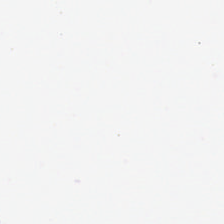H&E — The field content is empty background.
